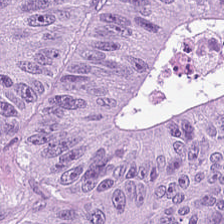H&E stain · brightfield. Predominantly colorectal adenocarcinoma epithelium.
